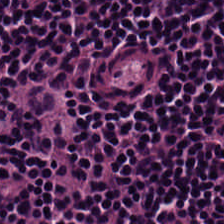H&E stain; FFPE — The tissue here is lymphocyte aggregate.
